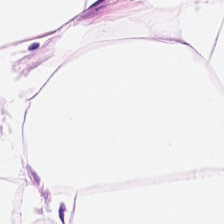WSI patch · H&E stain — This field is adipocytes.
